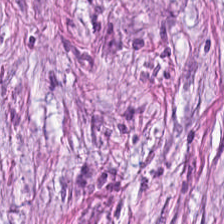Stain: hematoxylin-and-eosin stained section.
Tissue type: desmoplastic stroma.
